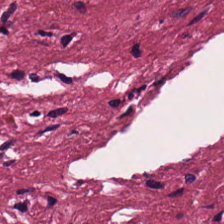Finding → tumor-associated stroma.
